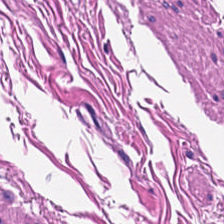Predominant tissue — smooth-muscle tissue.
